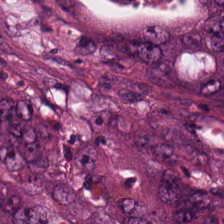Hematoxylin and eosin. FFPE tissue section.
Classification — colorectal adenocarcinoma.
